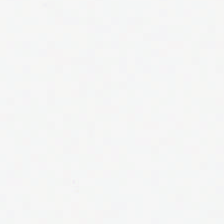H&E-stained tissue section — Background.
